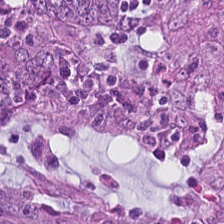20× equivalent magnification · FFPE · hematoxylin-and-eosin stained section.
Tissue type: colorectal adenocarcinoma.
